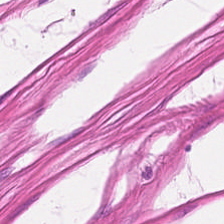H&E stain.
Tissue class = smooth muscle.
